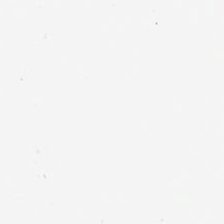H&E. 224×224 px patch. Q: What is shown in this field?
A: The field shows no tissue.
